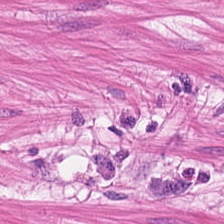Hematoxylin-and-eosin stained section · FFPE · 224×224 px patch.
Tissue: muscularis.
